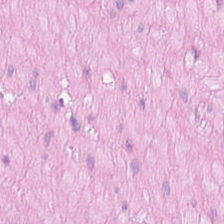This field is smooth muscle.
